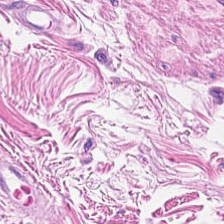Hematoxylin and eosin.
This patch shows smooth muscle.
